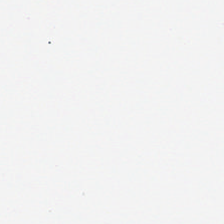Classification: background.
